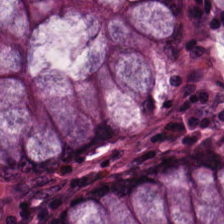H&E stain — Finding — benign colonic mucosa.
